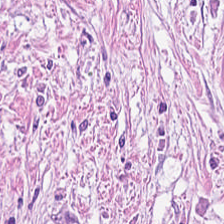Hematoxylin and eosin · 224×224 px tile · FFPE tissue section. This field is tumor stroma.
